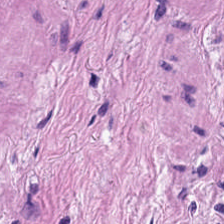224×224 pixel tile; H&E stain. Tissue = smooth muscle.
